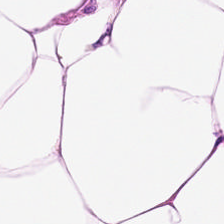Hematoxylin and eosin — Q: What does this patch show?
A: Adipose tissue.
